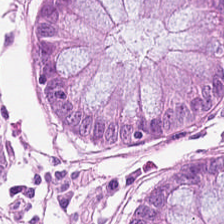Hematoxylin and eosin — The classification is non-neoplastic colon mucosa.
